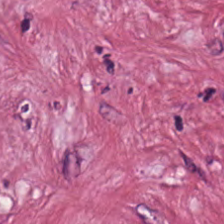H&E stain. Impression — cancer-associated stroma.
